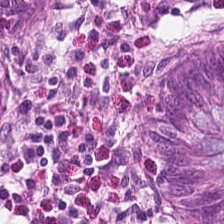224×224 px tile. Hematoxylin-and-eosin stained section — Q: What type of tissue is this?
A: It is normal colon mucosa.
